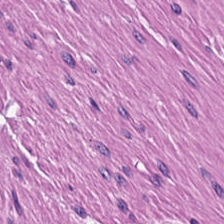Finding — smooth-muscle tissue.
